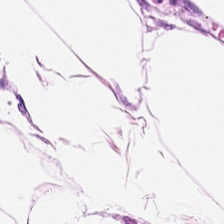Whole-slide-image patch; H&E stain.
Q: What does this patch show?
A: The field shows fat tissue.
